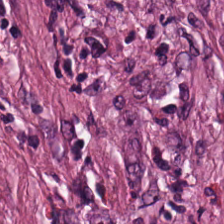Tissue class: tumor stroma.
